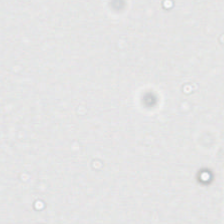224×224 px tile · H&E-stained tissue section. The field content is background (no tissue).
